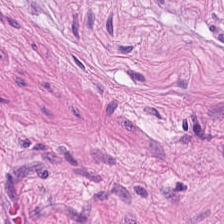0.5 µm/px; H&E-stained tissue section. Q: What tissue type is shown here?
A: The field shows smooth muscle.
